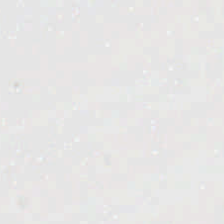Hematoxylin and eosin. Impression → empty background.
